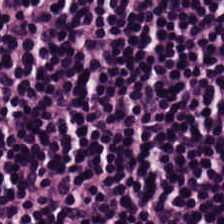Hematoxylin and eosin — Lymphocytes.
